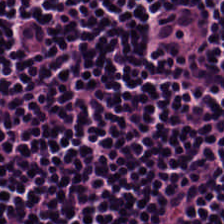Hematoxylin and eosin. Lymphocytic infiltrate.
